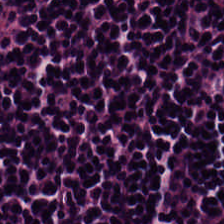20× equivalent magnification; H&E stain. Predominant tissue: lymphocyte aggregate.
